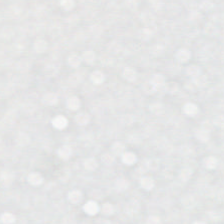Histology → empty background.
